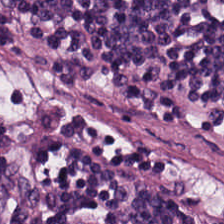The tissue type is lymphocytic infiltrate.
